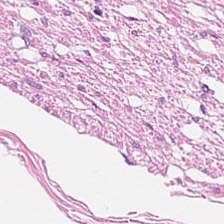Hematoxylin-and-eosin section: smooth-muscle tissue.
